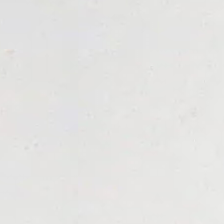Hematoxylin and eosin. Impression — background.
